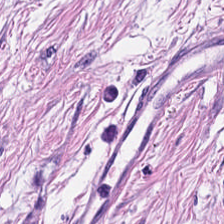The predominant tissue is muscularis.
